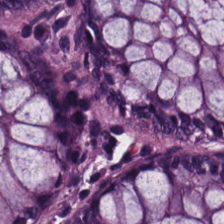H&E — {"tissue_type": "benign colonic mucosa"}
